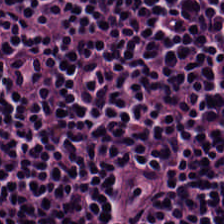Brightfield; H&E-stained tissue section; 224×224 px tile. Lymphocytes.
